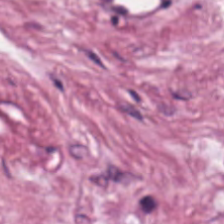H&E stain. 224×224 px tile. The tissue here is tumor stroma.
